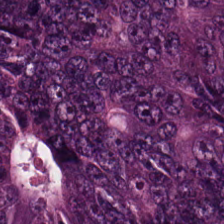Hematoxylin and eosin.
This patch shows colorectal adenocarcinoma.
